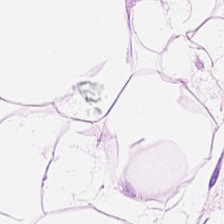H&E-stained section; the field shows fat tissue.
